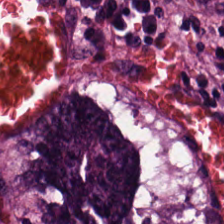Formalin-fixed paraffin-embedded section · whole-slide-image patch · hematoxylin-and-eosin stained section.
Classification — adenocarcinoma.
